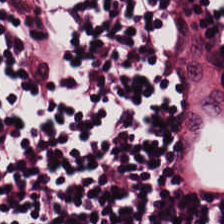Stain: hematoxylin-and-eosin stained section.
Preparation: FFPE tissue section.
Tissue class: lymphocytic infiltrate.
